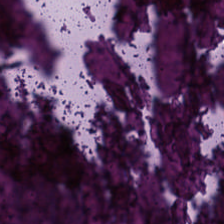224×224 pixel tile. Hematoxylin and eosin — Q: What is the predominant tissue type?
A: Cellular debris.
